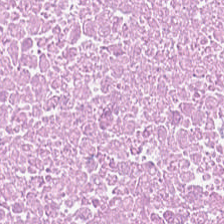0.5 microns per pixel; brightfield microscopy; H&E stain. Q: What is shown in this field?
A: This is cellular debris.
